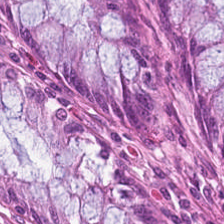224×224 pixel tile; hematoxylin-and-eosin stained section.
Q: What is the predominant tissue type?
A: This is normal colon mucosa.
